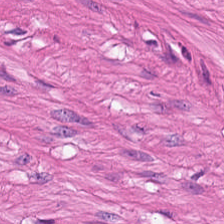Hematoxylin-and-eosin stained section. Whole-slide-image patch. 20× equivalent magnification — Muscularis.
